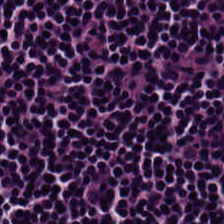Impression — lymphocytic infiltrate.
